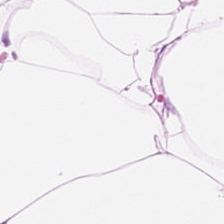Hematoxylin-and-eosin stained section — The tissue here is adipocytes.
